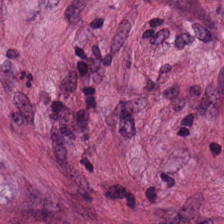Hematoxylin-and-eosin stained section.
Predominantly tumor stroma.
